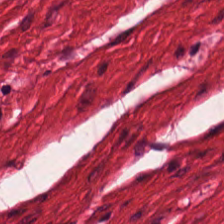H&E-stained tissue section.
This patch shows smooth-muscle tissue.
